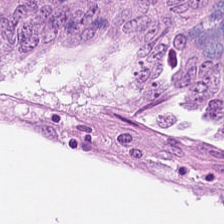H&E-stained tissue section · 20× equivalent magnification — Tissue = tumor epithelium.
